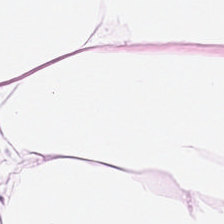224×224 px patch. H&E stain. Tissue: adipose.
